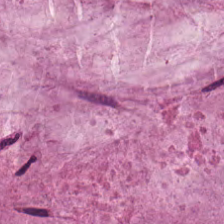H&E.
Tissue class: mucus.
